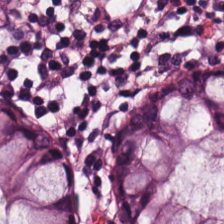0.5 µm/px; H&E-stained tissue section.
Showing benign colonic mucosa.
